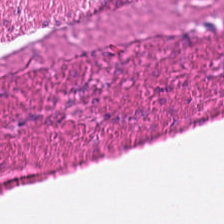This patch shows smooth-muscle tissue.
